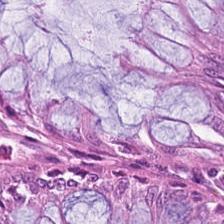The predominant tissue is normal colonic mucosa.
